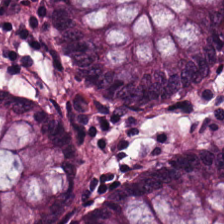H&E-stained tissue section.
Tissue = normal colon mucosa.
